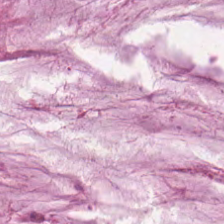Stain: hematoxylin and eosin.
Tissue type: mucus.
